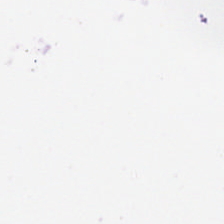Finding → empty background.
